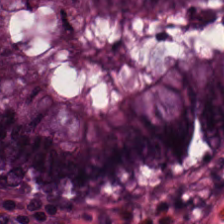Hematoxylin-and-eosin stained section · 224×224 pixel tile · brightfield microscopy. {"tissue_type": "non-neoplastic colon mucosa"}
